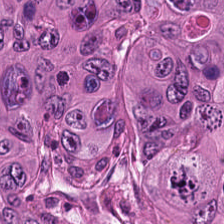This field is malignant epithelium.
